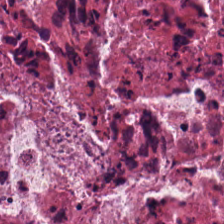FFPE tissue section. WSI patch. Hematoxylin-and-eosin stained section — Tissue class = cellular debris.
